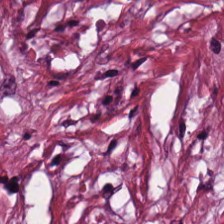Hematoxylin and eosin.
The tissue here is desmoplastic stroma.
